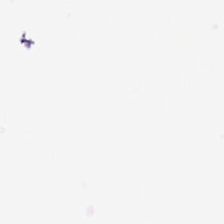0.5 microns per pixel; H&E-stained tissue section.
No tissue present; background only.
